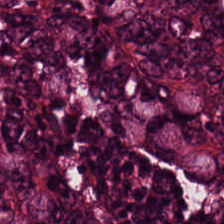Q: What tissue type is shown here?
A: It is colorectal adenocarcinoma.
